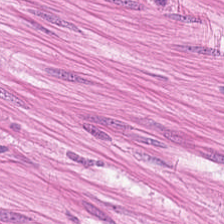Stain: H&E-stained tissue section.
Predominant tissue: smooth-muscle tissue.
